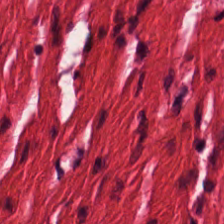H&E. FFPE tissue section — {"tissue_type": "smooth-muscle tissue"}
